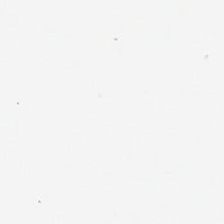FFPE; H&E-stained tissue section; 224×224 px tile.
Field content: no tissue.
